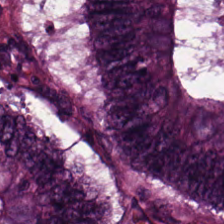Histology — tumor epithelium.
